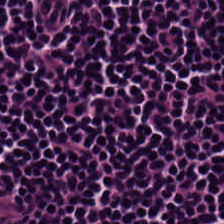Tissue — lymphocytic infiltrate.
